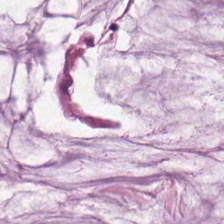Hematoxylin and eosin. 0.5 µm/px. The predominant tissue is mucus.
